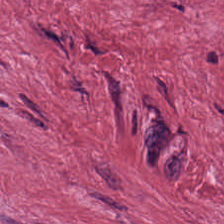Hematoxylin and eosin. This field is cancer-associated stroma.
